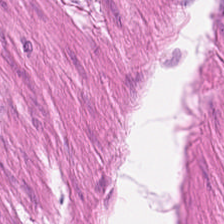H&E.
{"tissue_type": "smooth-muscle tissue"}
